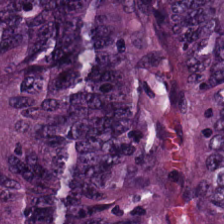Hematoxylin and eosin — This field is adenocarcinoma.
